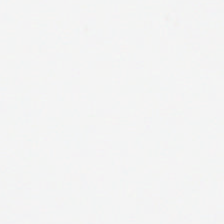Hematoxylin-and-eosin stained section. Impression — empty background.
